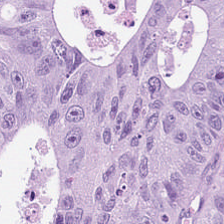H&E — Q: Identify the tissue.
A: The field shows colorectal adenocarcinoma.
